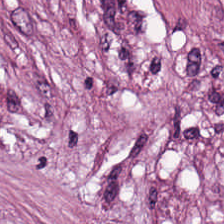0.5 µm/px. Hematoxylin-and-eosin stained section. Brightfield microscopy — {"tissue_type": "cancer-associated stroma"}
